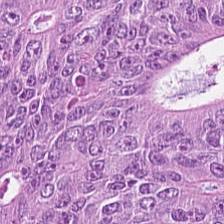H&E. 0.5 µm/px. 224×224 px patch. Showing adenocarcinoma.
